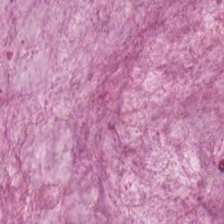Formalin-fixed paraffin-embedded section · H&E-stained tissue section — Extracellular mucin.
